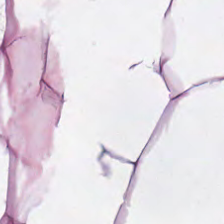H&E-stained tissue section.
{"tissue_type": "adipocytes"}
